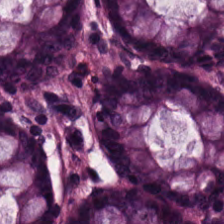Formalin-fixed paraffin-embedded section. 20× equivalent magnification. H&E stain — This patch shows benign colonic mucosa.
